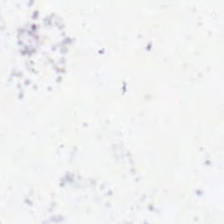H&E-stained tissue section · 20× equivalent magnification.
Field content: empty background.
